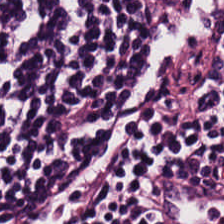Stain: H&E.
Predominant tissue: lymphocytes.
